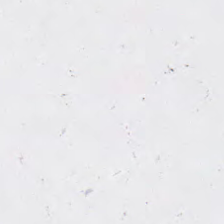H&E-stained tissue section — Finding — empty background.
